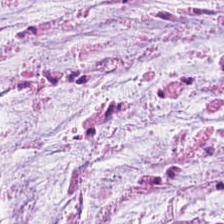{"tissue_type": "mucus"}
